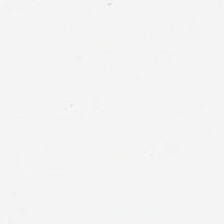H&E-stained tissue section; FFPE tissue section — The classification is background.
